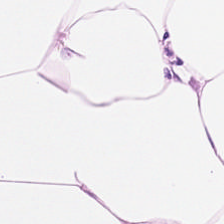Stain: H&E stain.
Tile size: 224×224 pixel tile.
Tissue type: fat tissue.
